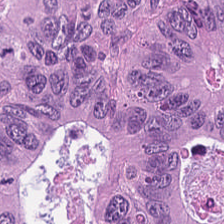Whole-slide-image patch. Hematoxylin and eosin. The tissue here is adenocarcinoma.
